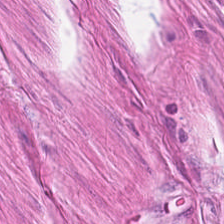H&E stain — The predominant tissue is smooth muscle.
